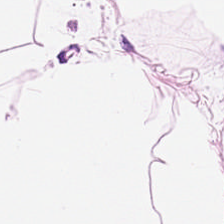H&E stain.
Histology — adipocytes.
